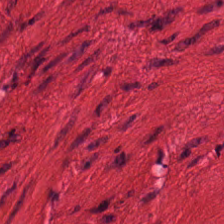The tissue here is muscularis.
